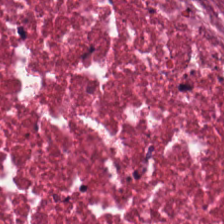H&E. This patch shows cellular debris.
